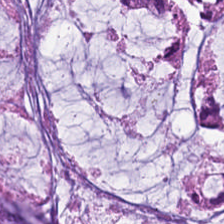20× equivalent magnification · H&E · brightfield.
Finding — mucin.
